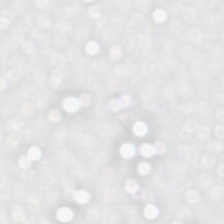The field content is background (no tissue).
